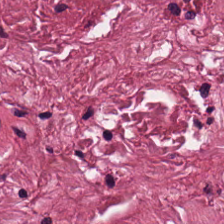Q: What tissue is shown?
A: It is cancer-associated stroma.
